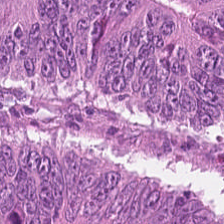0.5 µm/px. H&E. Impression — colorectal adenocarcinoma epithelium.
